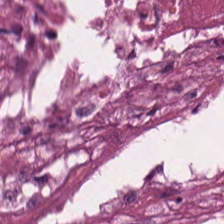Hematoxylin-and-eosin stained section. FFPE tissue section. This field is debris.
